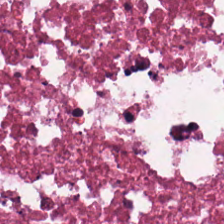Hematoxylin and eosin. 224×224 px tile — Q: What does this patch show?
A: Debris.
